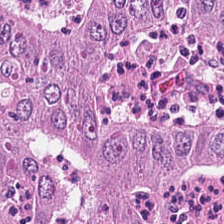Hematoxylin-and-eosin stained section. 0.5 µm per pixel. FFPE tissue section. Tissue class: colorectal adenocarcinoma epithelium.
